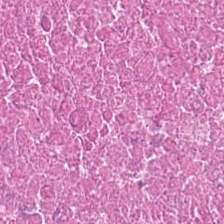Stain: H&E.
Acquisition: whole-slide-image patch.
Predominant tissue: cellular debris.
